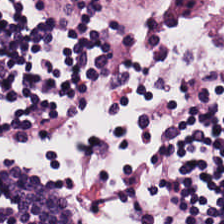Stain: hematoxylin and eosin.
Tissue: lymphocyte aggregate.
